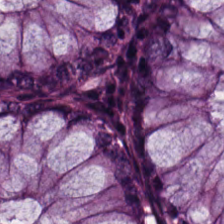Stain: H&E-stained tissue section.
Tissue: normal colon mucosa.
